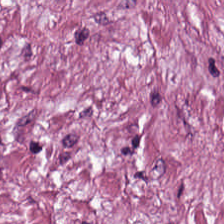Q: What is shown here?
A: It is tumor-associated stroma.
